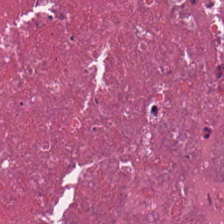Hematoxylin and eosin. Impression — debris.
